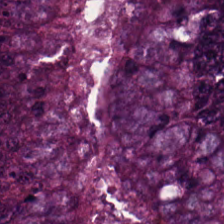Formalin-fixed paraffin-embedded section · H&E-stained tissue section — Q: What type of tissue is this?
A: The field shows colorectal adenocarcinoma epithelium.
